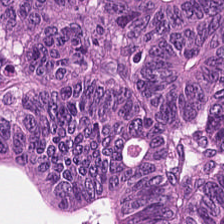H&E stain · 20× equivalent magnification · FFPE.
This field is adenocarcinoma.
